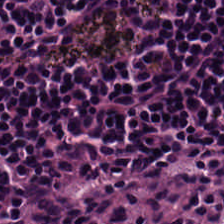H&E-stained tissue section. WSI patch. Predominant tissue — lymphocyte aggregate.
